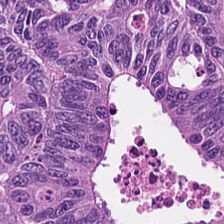Hematoxylin-and-eosin stained section; 0.5 microns per pixel; 224×224 pixel tile. Showing tumor epithelium.
